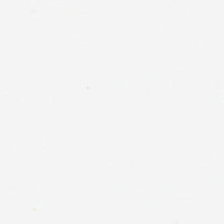224×224 px tile; hematoxylin and eosin; FFPE tissue section.
The content is background (no tissue).
